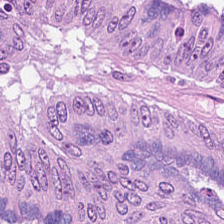This field is colorectal adenocarcinoma.
